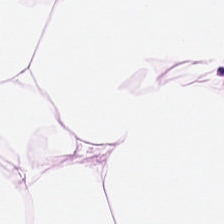Hematoxylin and eosin · formalin-fixed paraffin-embedded section · WSI patch — This patch shows fat tissue.
